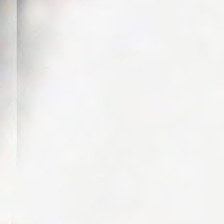This patch shows no tissue.
